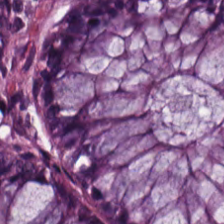Hematoxylin-and-eosin stained section — Classification: normal colon mucosa.
